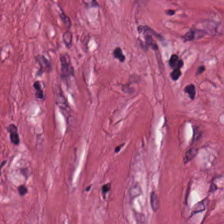H&E-stained tissue section. This field is tumor-associated stroma.
